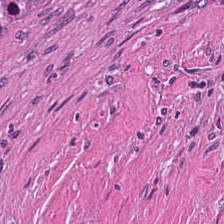Tissue class = cellular debris.
